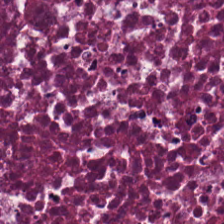The tissue is cellular debris.
